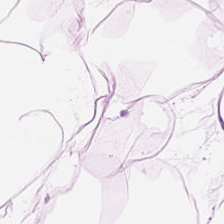Hematoxylin and eosin; formalin-fixed paraffin-embedded section. This patch shows adipose tissue.
